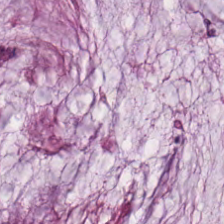Whole-slide-image patch. H&E stain.
Tissue: mucus.
